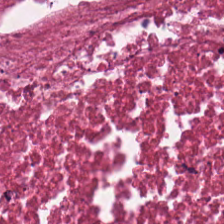Stain: H&E.
Tissue class: debris.
